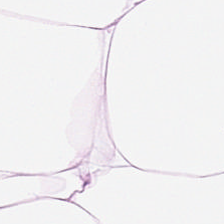224×224 px tile; H&E-stained tissue section.
The tissue type is adipose.
